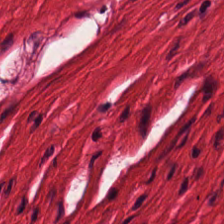Hematoxylin-and-eosin stained section.
This field is smooth muscle.
